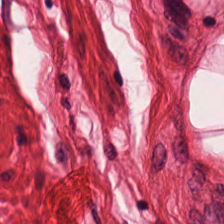H&E — The tissue type is muscularis.
